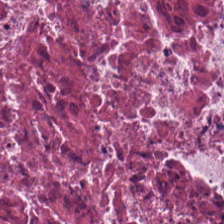Stain: H&E stain.
Preparation: formalin-fixed paraffin-embedded section.
Tile size: 224×224 px tile.
Tissue: necrotic debris.
